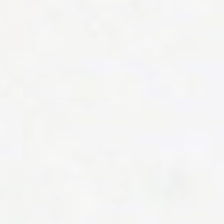Impression → no tissue.
